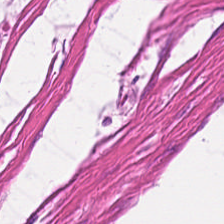H&E stain.
The tissue type is smooth-muscle tissue.
